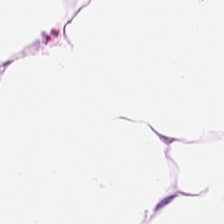This field is adipose tissue.
